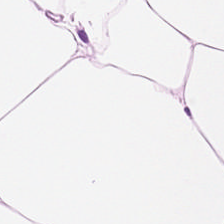Predominantly adipocytes.
